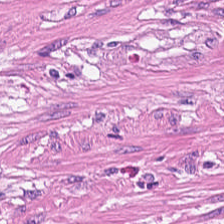H&E stain.
Q: What is the predominant tissue type?
A: This is smooth muscle.
